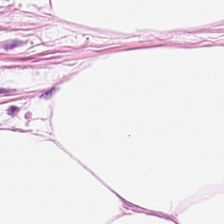This field is adipocytes.
